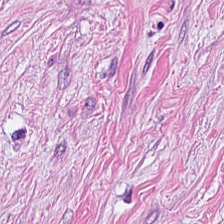224×224 px tile; hematoxylin and eosin; 20× equivalent magnification.
Predominant tissue = cancer-associated stroma.
